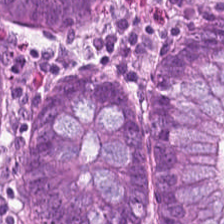Hematoxylin and eosin. Impression — normal colonic mucosa.
